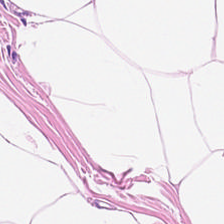Brightfield; FFPE tissue section; H&E.
Q: What tissue type is shown here?
A: This is fat tissue.
